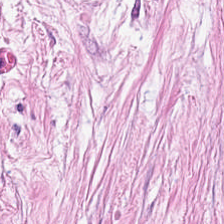H&E stain.
The classification is tumor stroma.
